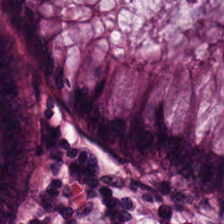Stain: hematoxylin-and-eosin stained section.
Tissue: normal colonic mucosa.
